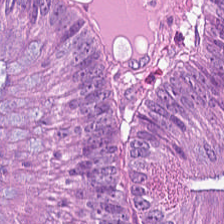H&E stain; brightfield — The tissue is colorectal adenocarcinoma.
